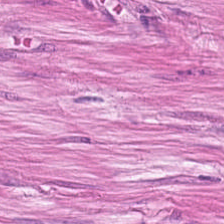H&E. The predominant tissue is muscularis.
